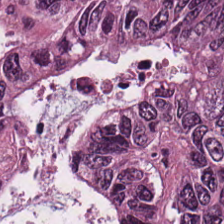Stain: H&E-stained tissue section.
Preparation: FFPE.
Predominant tissue: colorectal adenocarcinoma.
